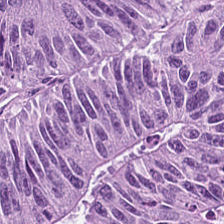Hematoxylin-and-eosin stained section; FFPE tissue section.
Q: What does this patch show?
A: It is colorectal adenocarcinoma epithelium.
